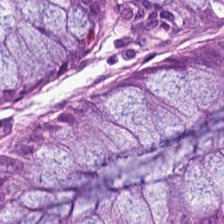Hematoxylin and eosin. Q: Classify this patch.
A: It is benign colonic mucosa.
